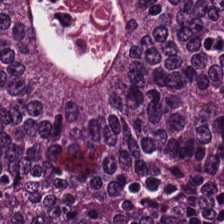Hematoxylin and eosin — The tissue here is malignant epithelium.
